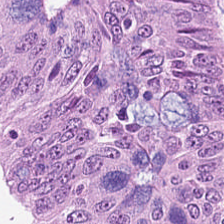Hematoxylin and eosin. Tissue = colorectal adenocarcinoma epithelium.
